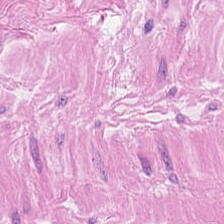Hematoxylin-and-eosin stained section.
This field is smooth muscle.
